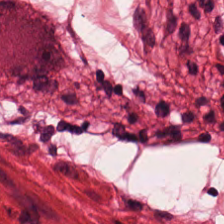Q: Classify this patch.
A: Smooth-muscle tissue.
